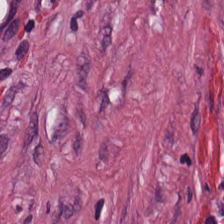Stain: hematoxylin-and-eosin stained section.
Classification: desmoplastic stroma.
